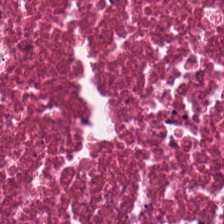Stain: H&E-stained tissue section.
Predominant tissue: cellular debris.
